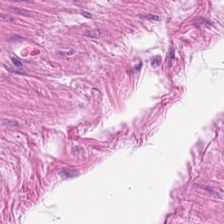H&E stain.
Predominantly smooth-muscle tissue.
